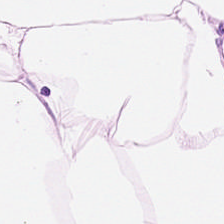Stain: H&E-stained tissue section.
Tissue type: adipose.
